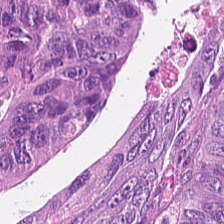Stain: H&E stain.
Classification: colorectal adenocarcinoma.
